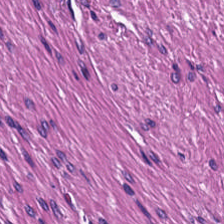H&E · whole-slide-image patch. The tissue type is smooth-muscle tissue.
